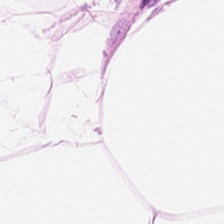224×224 pixel tile · hematoxylin-and-eosin stained section · WSI patch.
The tissue type is adipose.
